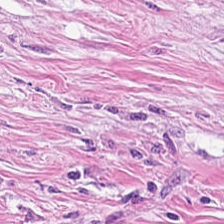This field is desmoplastic stroma.
